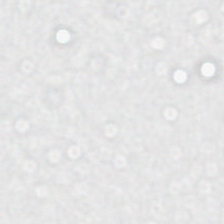H&E stain.
No tissue.
